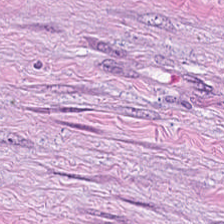Stain: hematoxylin and eosin.
Preparation: FFPE.
Tile size: 224×224 px patch.
Tissue type: cancer-associated stroma.
